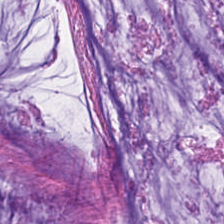Hematoxylin and eosin.
The predominant tissue is mucin.
